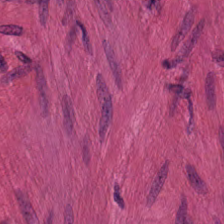H&E stain. Whole-slide-image patch. 224×224 px tile — Predominant tissue — muscularis.
